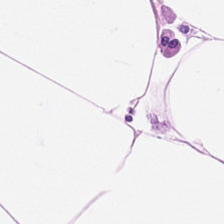Q: What is shown here?
A: It is adipocytes.
